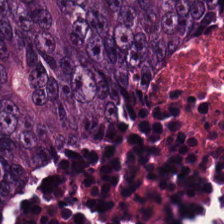Hematoxylin and eosin.
Finding — adenocarcinoma.
